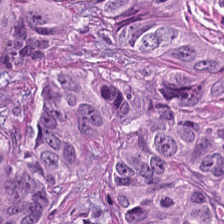Hematoxylin and eosin.
Tissue class: malignant epithelium.
